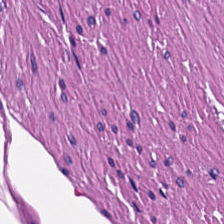Brightfield. Hematoxylin and eosin — The predominant tissue is smooth-muscle tissue.
